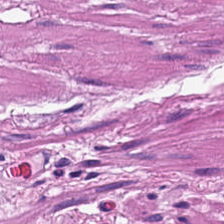Hematoxylin and eosin; 20× equivalent magnification. Q: What does this patch show?
A: Smooth muscle.
